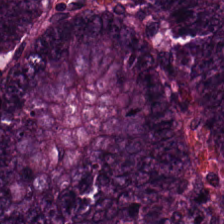Hematoxylin and eosin.
Tissue — tumor epithelium.
